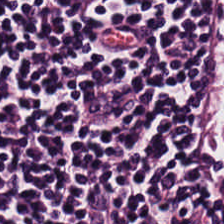0.5 µm/px; hematoxylin and eosin — Q: What is shown here?
A: This is lymphocytic infiltrate.
